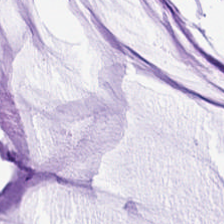Q: What tissue type is shown here?
A: This is extracellular mucin.
